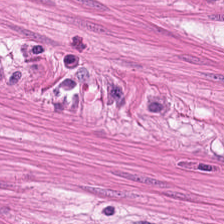Predominantly smooth muscle.
